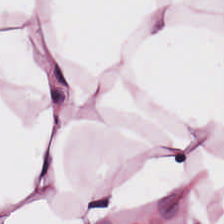0.5 µm per pixel; whole-slide-image patch; H&E — Q: What is the predominant tissue type?
A: Fat tissue.
